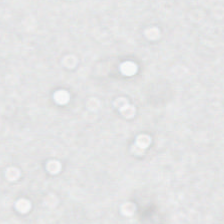{"content": "background"}
